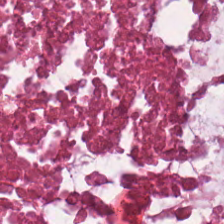Brightfield microscopy; H&E-stained tissue section — Finding → cellular debris.
